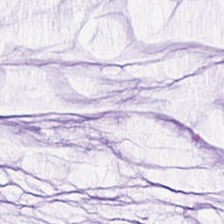H&E-stained tissue section · formalin-fixed paraffin-embedded section · 20× equivalent magnification.
Finding — mucus.
